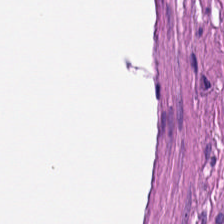Stain: hematoxylin-and-eosin stained section.
Acquisition: brightfield microscopy.
Classification: muscularis.
